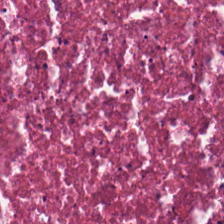Tissue — cellular debris.
